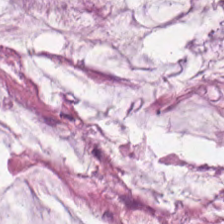224×224 px patch · FFPE · H&E.
Histology → mucus.
